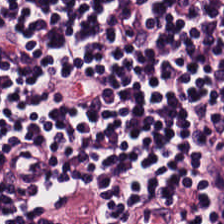Q: What type of tissue is this?
A: Lymphocyte aggregate.
